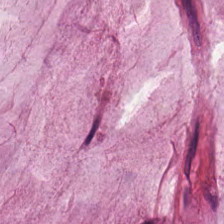Hematoxylin-and-eosin stained section. The tissue here is extracellular mucin.
